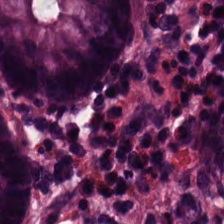Hematoxylin-and-eosin stained section.
Finding → normal colon mucosa.
